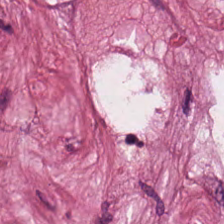H&E-stained tissue section · WSI patch. Tissue class: tumor stroma.
